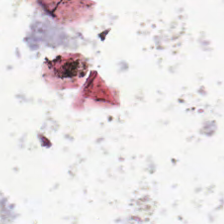H&E stain. {"content": "empty background"}
